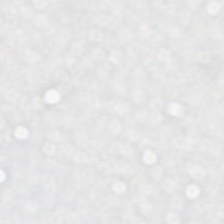Brightfield microscopy. H&E-stained tissue section. {"content": "empty background"}
